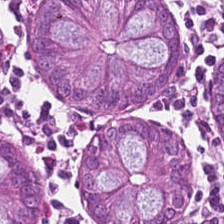Tissue: benign colonic mucosa.
